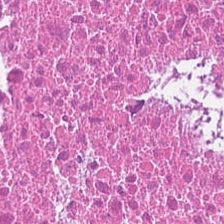H&E. Q: What does this patch show?
A: It is debris.
